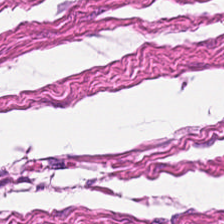FFPE; 224×224 pixel tile; H&E — This patch shows smooth-muscle tissue.
